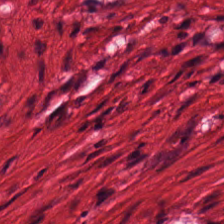This patch shows smooth-muscle tissue.
